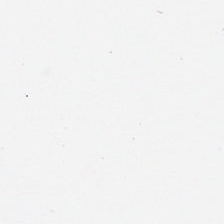Field content — background (no tissue).
